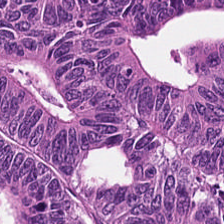Hematoxylin and eosin; 224×224 pixel tile; FFPE.
Q: What is the predominant tissue type?
A: This is malignant epithelium.
